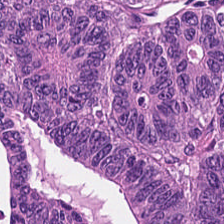The tissue here is tumor epithelium.
